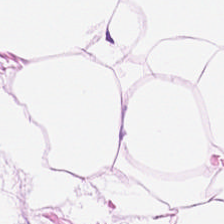Hematoxylin and eosin. This field is fat tissue.
